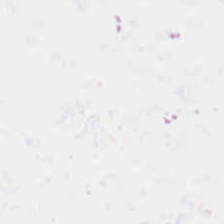Stain: H&E.
Content: background.
